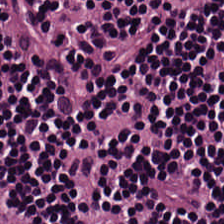Predominantly lymphocytes.
